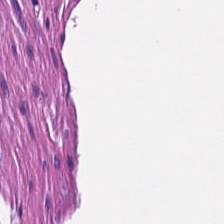Smooth muscle.
